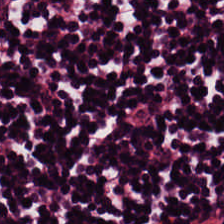Stain: H&E.
Classification: lymphoid infiltrate.
